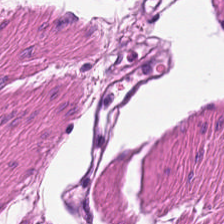FFPE tissue section; hematoxylin-and-eosin stained section; 0.5 µm per pixel — Q: Identify the tissue.
A: The field shows smooth-muscle tissue.
